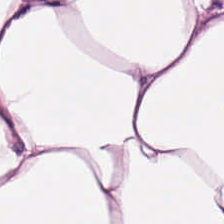Hematoxylin-and-eosin stained section.
This field is adipose tissue.
